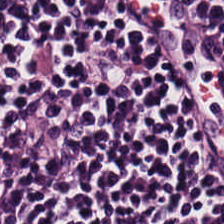H&E-stained tissue section. 0.5 µm per pixel. FFPE. Q: What does this patch show?
A: This is lymphocytes.
